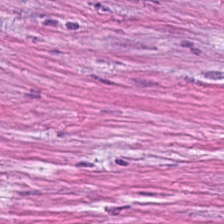Q: What is shown in this field?
A: It is tumor-associated stroma.
